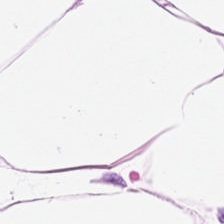H&E; FFPE. Fat tissue.
